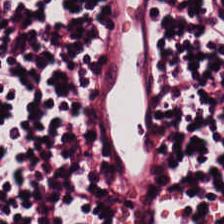Hematoxylin and eosin. 224×224 px patch. FFPE. Q: What tissue is shown?
A: This is lymphocytes.
